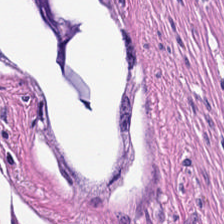FFPE tissue section · hematoxylin-and-eosin stained section · 224×224 px patch. The tissue here is smooth muscle.
